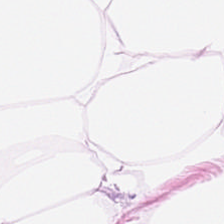Hematoxylin and eosin · brightfield.
Tissue: adipocytes.
